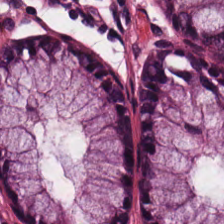Q: What is the predominant tissue type?
A: It is non-neoplastic colon mucosa.
